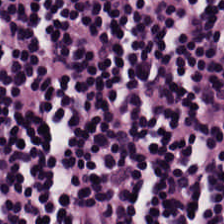H&E. This field is lymphoid infiltrate.
